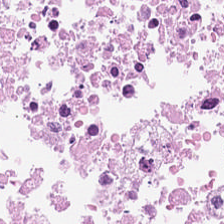H&E stain. 224×224 pixel tile — Debris.
